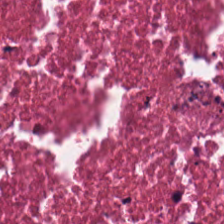Hematoxylin-and-eosin stained section · formalin-fixed paraffin-embedded section · 224×224 pixel tile — The predominant tissue is necrotic debris.
